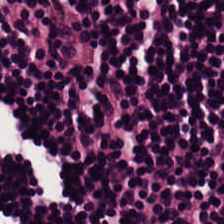Brightfield microscopy; hematoxylin-and-eosin stained section; 224×224 px tile — This field is lymphocyte aggregate.
